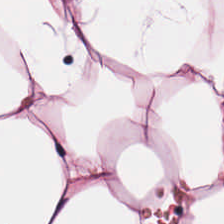H&E-stained tissue section; whole-slide-image patch.
Adipose tissue.
